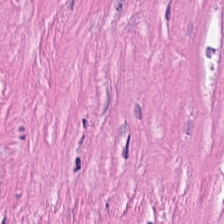{"tissue_type": "tumor stroma"}
